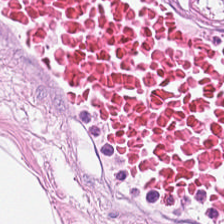Brightfield. FFPE. H&E stain. Finding → adipose tissue.
